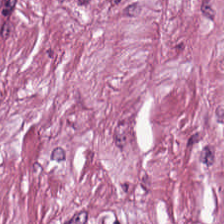H&E stain. 0.5 µm/px — Q: Classify this patch.
A: This is desmoplastic stroma.
